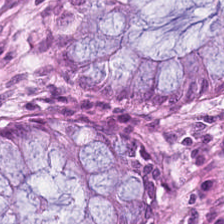Hematoxylin and eosin · 0.5 µm/px.
Tissue = normal colon mucosa.
